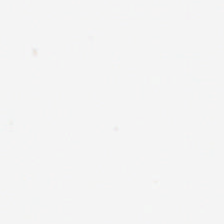224×224 px tile; H&E stain — Finding → background.
